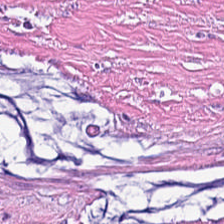Hematoxylin and eosin. The predominant tissue is tumor-associated stroma.
